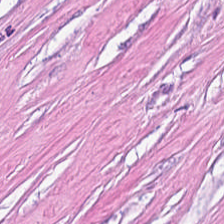Hematoxylin and eosin; 20× equivalent magnification. This field is tumor-associated stroma.
